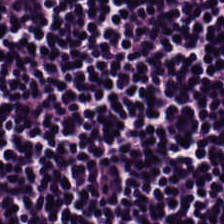Hematoxylin-and-eosin stained section — Tissue: lymphocytes.
